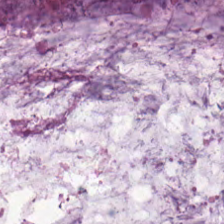H&E.
Classification — extracellular mucin.
